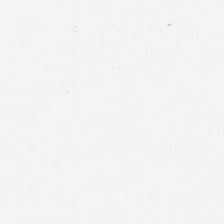H&E — This field is background (no tissue).
